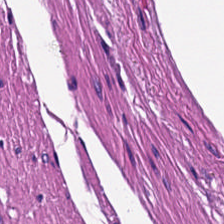Stain: hematoxylin-and-eosin stained section.
Resolution: 0.5 microns per pixel.
Tissue type: smooth muscle.
